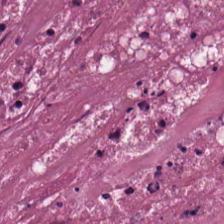Stain: hematoxylin-and-eosin stained section.
Predominant tissue: debris.
